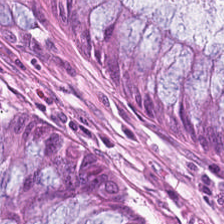H&E patch showing normal colon mucosa.
